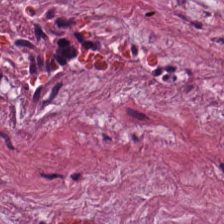H&E. FFPE. Q: Classify this patch.
A: It is tumor-associated stroma.
